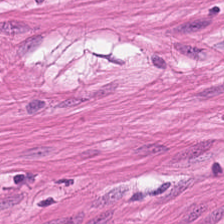H&E stain. Q: What is shown in this field?
A: The field shows smooth muscle.
